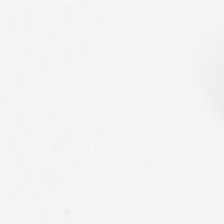Formalin-fixed paraffin-embedded section. Hematoxylin-and-eosin stained section.
Background — no tissue in this field.
